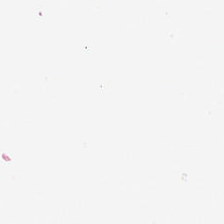Hematoxylin-and-eosin stained section · whole-slide-image patch — Q: What is shown here?
A: Background (no tissue).
